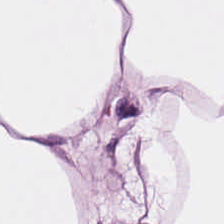H&E stain. Predominantly fat tissue.
